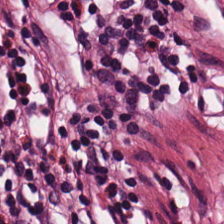0.5 microns per pixel · H&E-stained tissue section. Q: Classify this patch.
A: The field shows non-neoplastic colon mucosa.
